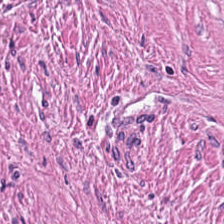0.5 microns per pixel; 224×224 pixel tile; hematoxylin and eosin. This field is desmoplastic stroma.
